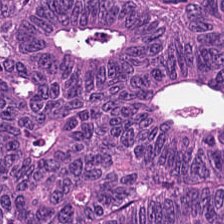H&E stain — Q: What tissue is shown?
A: The field shows tumor epithelium.
